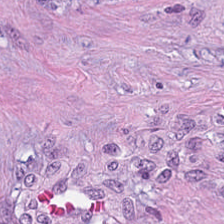Desmoplastic stroma.
